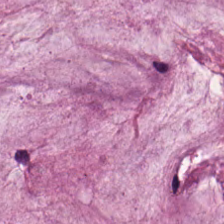H&E — {"tissue_type": "mucus"}
